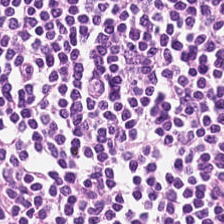Stain: H&E-stained tissue section.
Classification: lymphocyte aggregate.
